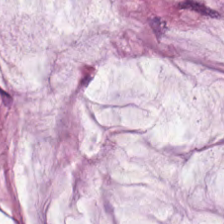H&E-stained tissue section; formalin-fixed paraffin-embedded section; 224×224 px tile — Mucin.
